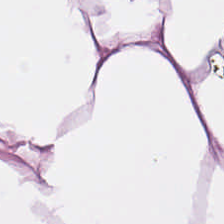This patch shows adipose.
